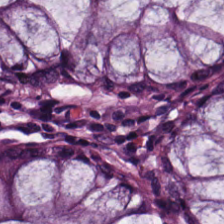Hematoxylin and eosin. 0.5 µm per pixel. Q: What tissue is shown?
A: This is normal colon mucosa.
